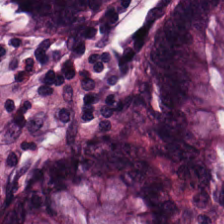Whole-slide-image patch. H&E stain. 224×224 px tile — Q: What is shown here?
A: It is normal colon mucosa.
